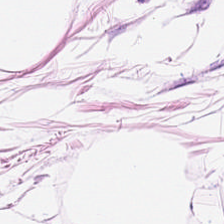Tissue class = adipose tissue.
